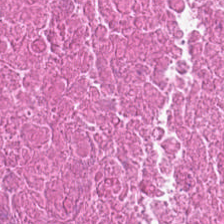{"tissue_type": "debris"}
